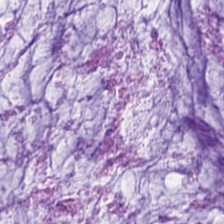H&E-stained tissue section — Q: What is shown here?
A: Mucus.
